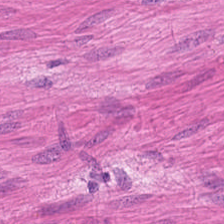Hematoxylin and eosin.
This patch shows muscularis.
